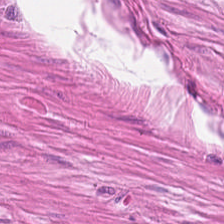Finding → muscularis.
